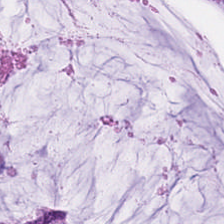Stain: H&E-stained tissue section.
Preparation: FFPE.
Tissue class: mucin.
